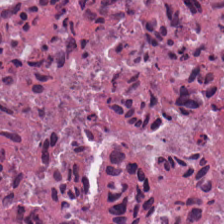Stain: hematoxylin-and-eosin stained section.
Tissue: debris.
